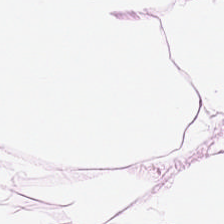Stain: H&E stain.
Resolution: 0.5 µm per pixel.
Tissue type: adipose.
